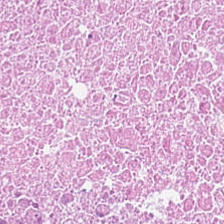{"tissue_type": "debris"}
